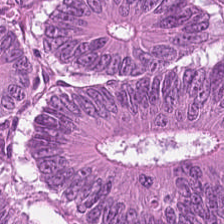Stain: hematoxylin and eosin.
Tissue class: adenocarcinoma.
